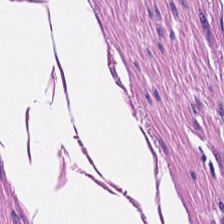Formalin-fixed paraffin-embedded section · H&E stain — Q: Classify this patch.
A: Smooth-muscle tissue.
